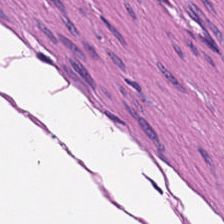Stain: hematoxylin and eosin.
Preparation: FFPE tissue section.
Predominant tissue: smooth muscle.
